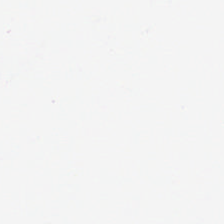H&E-stained tissue section. Classification = no tissue.
